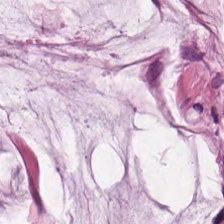0.5 microns per pixel; hematoxylin-and-eosin stained section — Histology — mucin.
